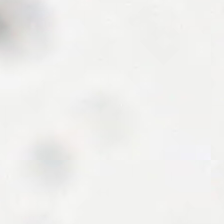Stain: hematoxylin-and-eosin stained section.
Field content: background (no tissue).
